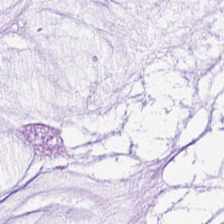Q: What tissue is shown?
A: Extracellular mucin.
